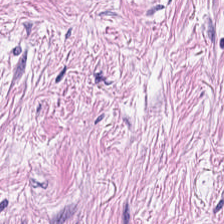Hematoxylin and eosin. Tumor-associated stroma.
